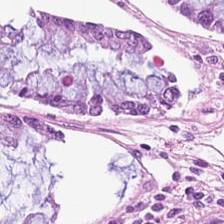0.5 µm/px; hematoxylin and eosin. The tissue here is normal colon mucosa.
